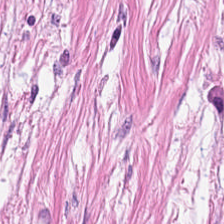H&E. Showing desmoplastic stroma.
